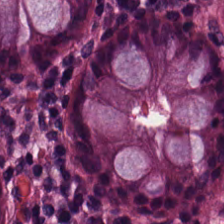Stain: H&E.
Preparation: FFPE.
Acquisition: WSI patch.
Classification: normal colon mucosa.
